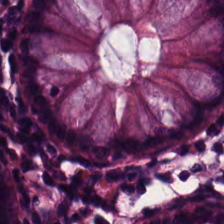Hematoxylin and eosin. Whole-slide-image patch. FFPE — The predominant tissue is normal colonic mucosa.
